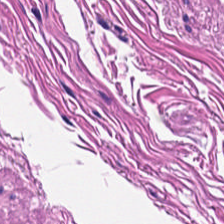H&E-stained tissue section · 20× equivalent magnification. Muscularis.
